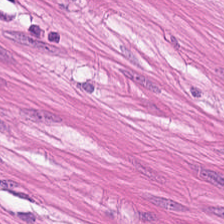Stain: hematoxylin-and-eosin stained section.
Tissue class: smooth-muscle tissue.
